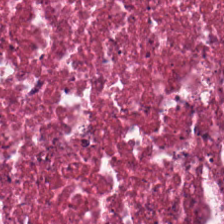Stain: hematoxylin and eosin.
Tissue type: debris.
